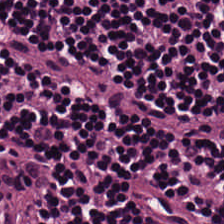Hematoxylin-and-eosin stained section. The predominant tissue is lymphocyte aggregate.
